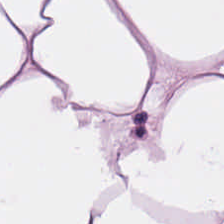H&E. Q: What is the predominant tissue type?
A: It is adipocytes.
